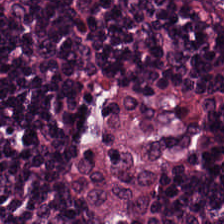Hematoxylin and eosin.
This field is lymphoid infiltrate.
